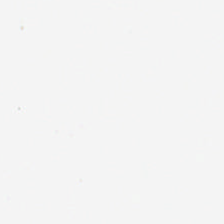Hematoxylin-and-eosin stained section — Histology — empty background.
